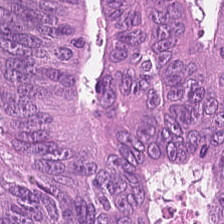Hematoxylin and eosin; whole-slide-image patch — Malignant epithelium.
